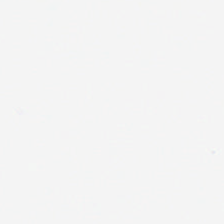Hematoxylin-and-eosin stained section. Q: Classify this patch.
A: It is no tissue.
